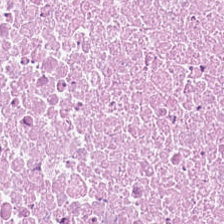H&E stain; FFPE tissue section. Cellular debris.
